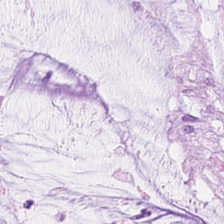Q: What tissue type is shown here?
A: The field shows extracellular mucin.
